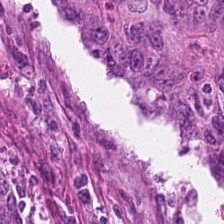0.5 µm per pixel. Hematoxylin-and-eosin stained section.
Tumor epithelium.
